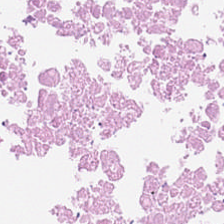0.5 microns per pixel. H&E. WSI patch — Predominant tissue — cellular debris.
